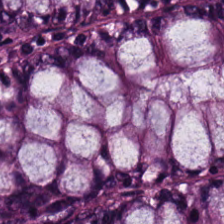224×224 pixel tile · H&E — Classification: normal colonic mucosa.
